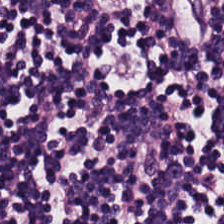H&E.
Q: What tissue type is shown here?
A: This is lymphocytes.
